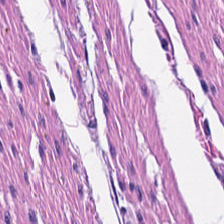Tissue class = muscularis.
